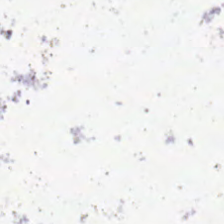H&E stain. The classification is background.
